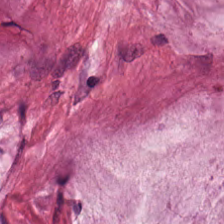H&E stain; 0.5 microns per pixel. Q: What tissue is shown?
A: The field shows mucus.
